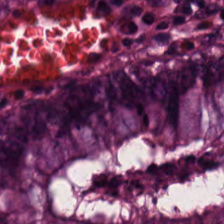Stain: H&E-stained tissue section.
Predominant tissue: benign colonic mucosa.
